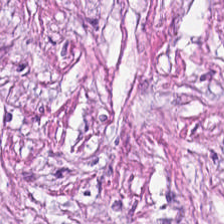Stain: H&E-stained tissue section.
Tissue class: tumor-associated stroma.
